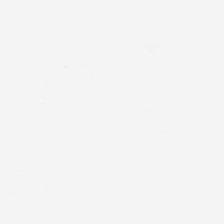Hematoxylin-and-eosin stained section — Empty background.
